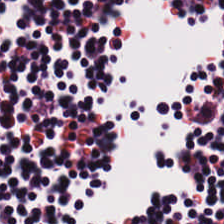Stain: H&E-stained tissue section.
Acquisition: brightfield microscopy.
Resolution: 0.5 µm/px.
Tissue class: lymphocytic infiltrate.
